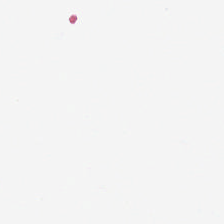Field content — background.
